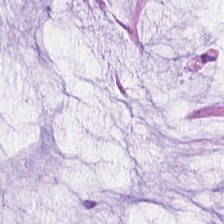H&E.
Q: What tissue is shown?
A: The field shows mucin.
